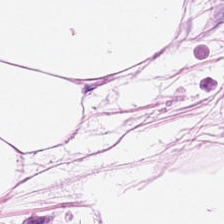Stain: hematoxylin-and-eosin stained section.
Predominant tissue: fat tissue.
